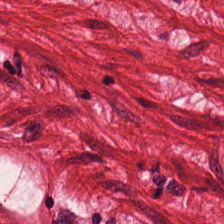Whole-slide-image patch · hematoxylin and eosin.
Q: What is the predominant tissue type?
A: Smooth-muscle tissue.
